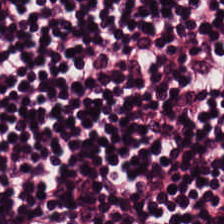H&E — Showing lymphocytic infiltrate.
